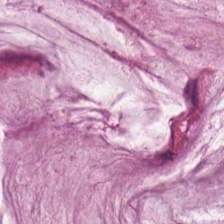Brightfield microscopy · hematoxylin-and-eosin stained section — Impression — mucus.
